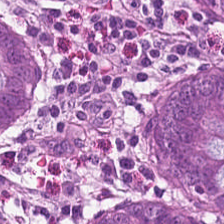FFPE tissue section. Hematoxylin-and-eosin stained section. 0.5 microns per pixel — Finding → non-neoplastic colon mucosa.
